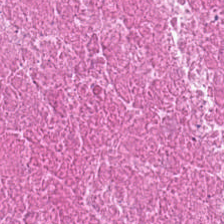Hematoxylin and eosin. Q: Classify this patch.
A: The field shows debris.
